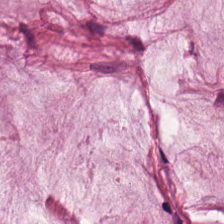Predominantly mucin.
